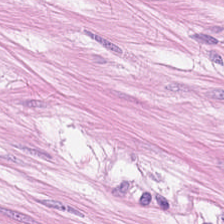H&E.
Tissue type — smooth-muscle tissue.
